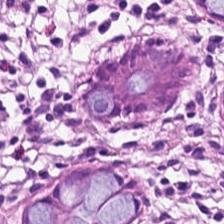H&E — Tissue class — normal colon mucosa.
